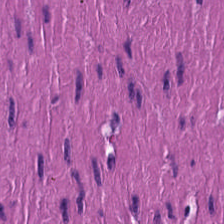Hematoxylin-and-eosin stained section.
Predominantly smooth-muscle tissue.
